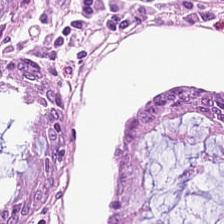This patch shows normal colonic mucosa.
